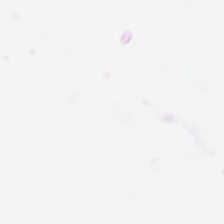Hematoxylin and eosin — Background — no tissue in this field.
